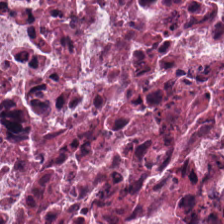0.5 µm per pixel. H&E. FFPE. Tissue type — debris.
